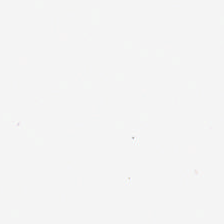Stain: H&E stain.
Resolution: 20× equivalent magnification.
Classification: background.
